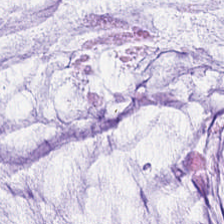H&E · formalin-fixed paraffin-embedded section — Tissue = mucus.
